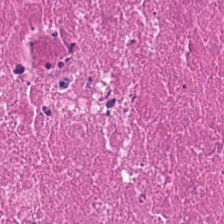H&E-stained tissue section.
Histology → necrotic debris.
